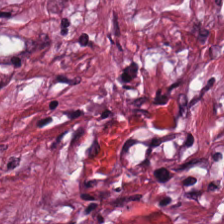Hematoxylin and eosin.
Q: What does this patch show?
A: This is desmoplastic stroma.
